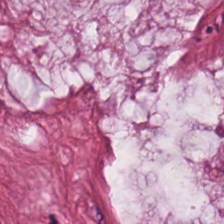H&E-stained tissue section. Tissue class = mucin.
